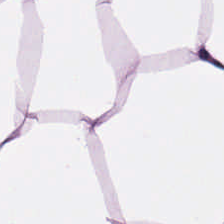Hematoxylin and eosin · brightfield · 224×224 px tile — Finding → adipocytes.
